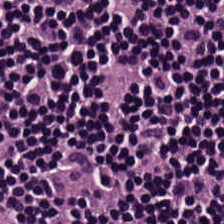Q: What tissue is shown?
A: This is lymphocytic infiltrate.
